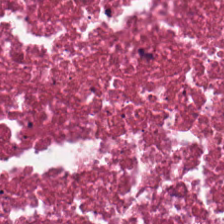WSI patch; H&E-stained tissue section.
Tissue: necrotic debris.
